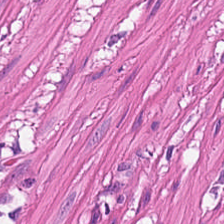H&E. Smooth-muscle tissue.
